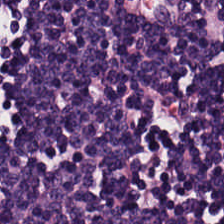H&E-stained tissue section — Classification — lymphocyte aggregate.
